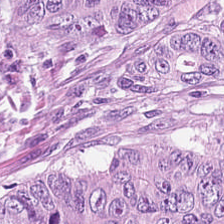Q: What type of tissue is this?
A: The field shows colorectal adenocarcinoma epithelium.
